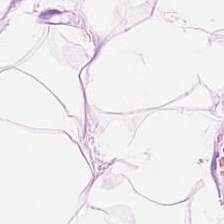H&E stain — The tissue class is adipose.
